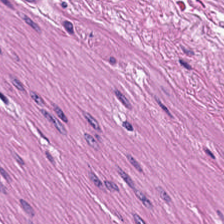H&E stain — Tissue: smooth-muscle tissue.
